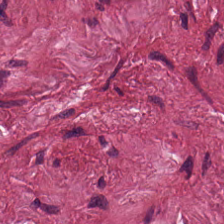Brightfield microscopy. H&E-stained tissue section. This field is tumor-associated stroma.
